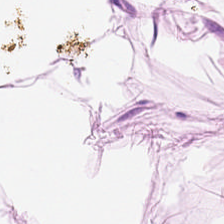H&E stain; 224×224 px tile; FFPE. Tissue type — adipose.
